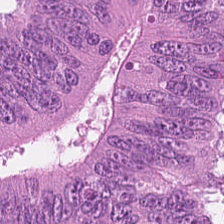H&E. Q: What tissue type is shown here?
A: It is colorectal adenocarcinoma epithelium.
